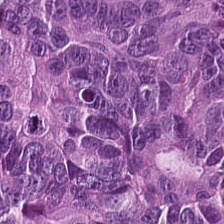H&E-stained tissue section. Classification — malignant epithelium.
